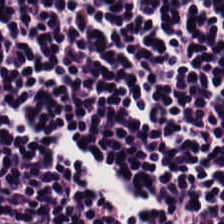Hematoxylin-and-eosin stained section — Tissue — lymphocytic infiltrate.
